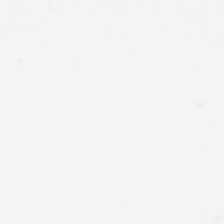The classification is no tissue.
